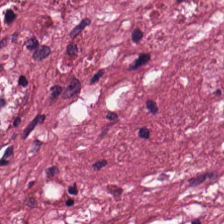Hematoxylin and eosin. WSI patch.
This patch shows tumor stroma.
